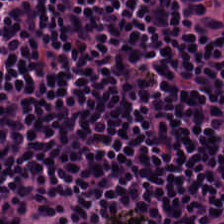0.5 µm per pixel; hematoxylin-and-eosin stained section; 224×224 px tile — Predominant tissue = lymphocytes.
